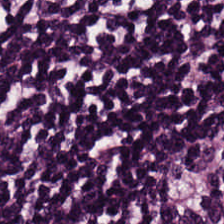H&E stain.
Tissue type: lymphocyte aggregate.
